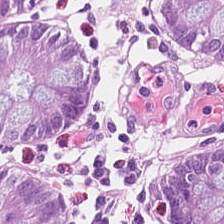The classification is normal colon mucosa.
